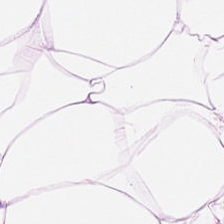H&E stain.
Tissue = adipose tissue.
